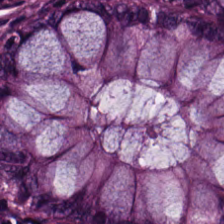H&E.
Q: What does this patch show?
A: Benign colonic mucosa.
